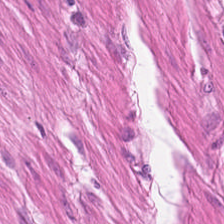Hematoxylin-and-eosin stained section.
The tissue type is muscularis.
